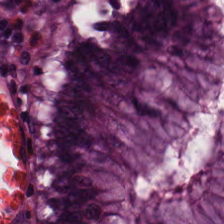Stain: H&E-stained tissue section.
Preparation: FFPE tissue section.
Tissue: non-neoplastic colon mucosa.
